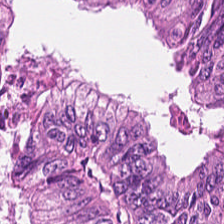Hematoxylin and eosin · FFPE.
Tissue — malignant epithelium.
